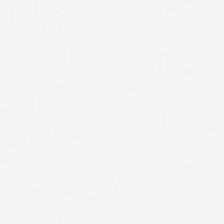Hematoxylin and eosin — Field content: background (no tissue).
